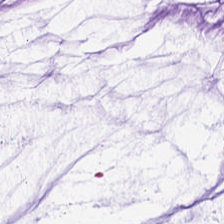H&E stain. This field is mucin.
